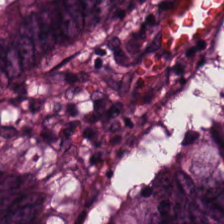Stain: hematoxylin and eosin.
Acquisition: whole-slide-image patch.
Resolution: 0.5 µm per pixel.
Predominant tissue: adenocarcinoma.
